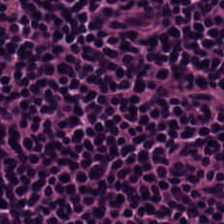Hematoxylin and eosin — The tissue type is lymphocytic infiltrate.
